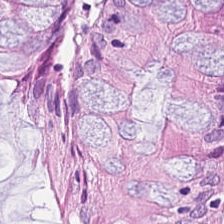H&E-stained tissue section; WSI patch; 0.5 µm/px. The predominant tissue is benign colonic mucosa.
